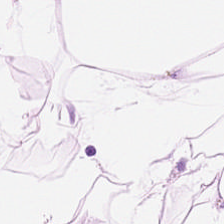H&E. Showing fat tissue.
